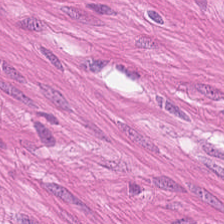Formalin-fixed paraffin-embedded section · H&E-stained tissue section. Impression → muscularis.
